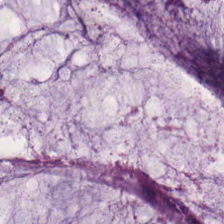Brightfield. Hematoxylin and eosin. Showing mucin.
